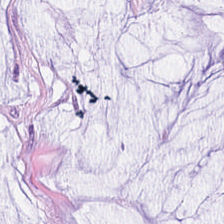Stain: hematoxylin and eosin.
Predominant tissue: mucin.
